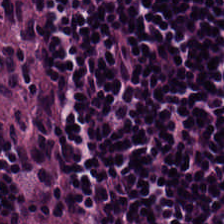224×224 px patch · H&E stain · brightfield.
Tissue type — lymphocytic infiltrate.
